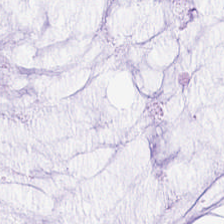224×224 px tile; H&E.
Predominantly extracellular mucin.
